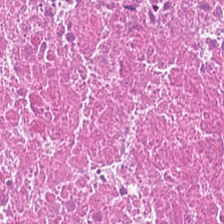H&E-stained tissue section — Q: What type of tissue is this?
A: It is cellular debris.
